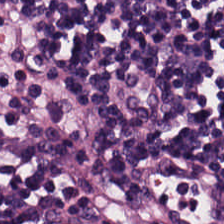Hematoxylin-and-eosin stained section.
Impression → lymphocytic infiltrate.
